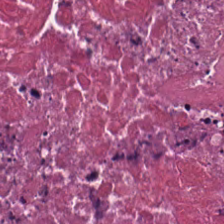H&E-stained tissue section. FFPE. This field is necrotic debris.
